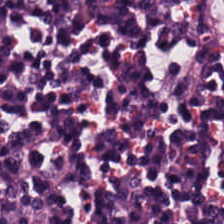H&E-stained tissue section — Q: What is shown here?
A: This is lymphocyte aggregate.
